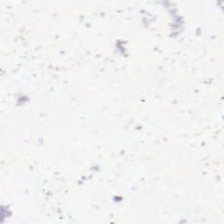No tissue present; background only.
